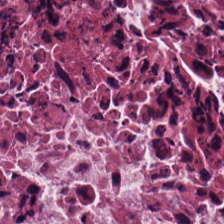224×224 pixel tile; hematoxylin-and-eosin stained section.
Q: What tissue is shown?
A: Debris.
